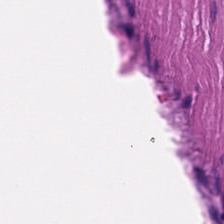Classification — muscularis.
